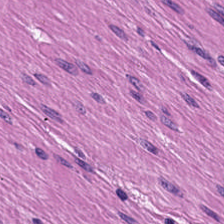H&E.
Finding → smooth muscle.
